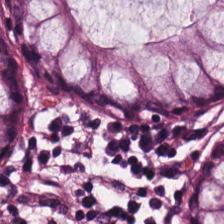H&E stain.
The predominant tissue is benign colonic mucosa.
